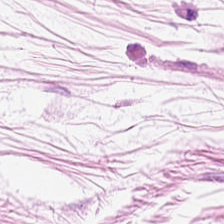H&E. Showing fat tissue.
